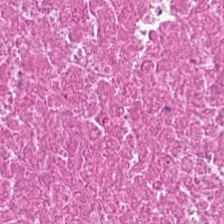H&E stain. Q: What is shown here?
A: The field shows debris.
